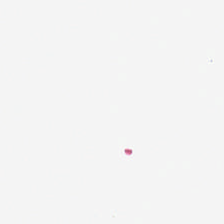Formalin-fixed paraffin-embedded section. 0.5 µm per pixel. H&E-stained tissue section. Impression → background.
